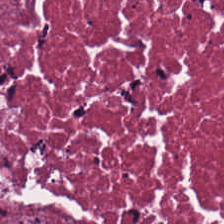H&E. The tissue is necrotic debris.
